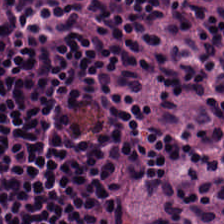Hematoxylin and eosin; brightfield microscopy.
Tissue class = lymphocytic infiltrate.
